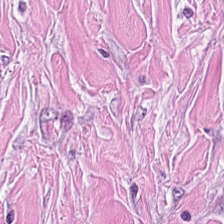Hematoxylin-and-eosin stained section — {"tissue_type": "cancer-associated stroma"}
